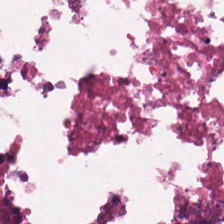Tissue — debris.
